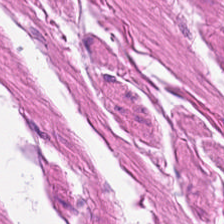Hematoxylin-and-eosin stained section — {"tissue_type": "smooth muscle"}
